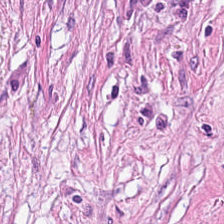Hematoxylin-and-eosin stained section. Histology — tumor stroma.
